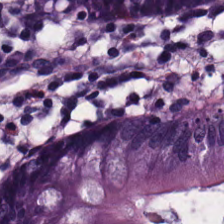Stain: H&E-stained tissue section.
Predominant tissue: normal colonic mucosa.
